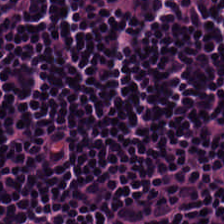Stain: H&E.
Predominant tissue: lymphocytes.
